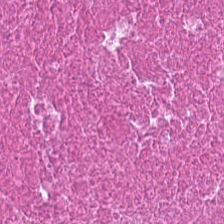H&E-stained tissue section — Predominantly debris.
